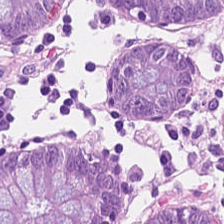224×224 pixel tile · H&E-stained tissue section.
Finding — non-neoplastic colon mucosa.
